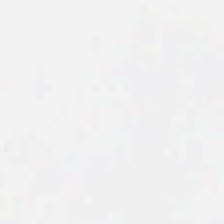Hematoxylin and eosin. No tissue present; background only.
